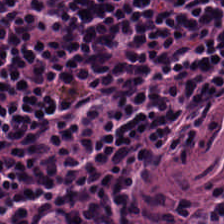224×224 px patch · H&E stain. This field is lymphocytes.
